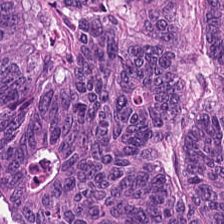H&E stain — The tissue is tumor epithelium.
